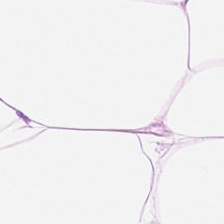Brightfield microscopy; 224×224 pixel tile; hematoxylin-and-eosin stained section.
Predominantly adipose tissue.
